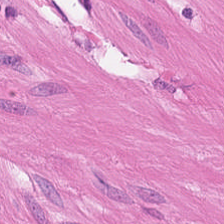224×224 pixel tile. H&E stain. Impression — muscularis.
